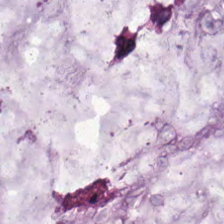H&E-stained tissue section — Predominant tissue: mucin.
